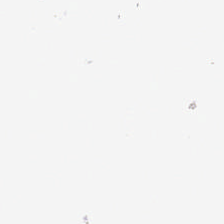H&E-stained tissue section.
Classification — empty background.
